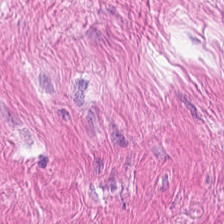H&E. Finding — muscularis.
